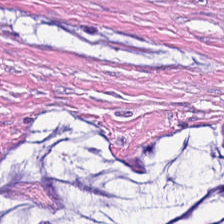Histology → cancer-associated stroma.
